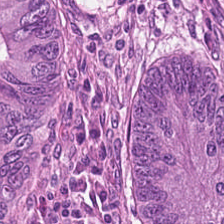Hematoxylin and eosin.
Tissue type: colorectal adenocarcinoma.
